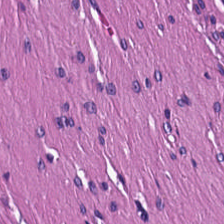H&E stain. WSI patch — Muscularis.
